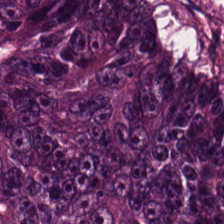224×224 px patch; H&E-stained tissue section — Q: What is shown in this field?
A: Tumor epithelium.
